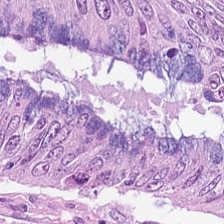H&E stain.
Predominant tissue: colorectal adenocarcinoma.
